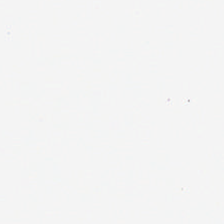H&E-stained tissue section. No tissue present; background only.
